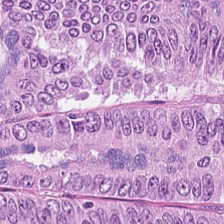Hematoxylin and eosin; brightfield — {"tissue_type": "adenocarcinoma"}
